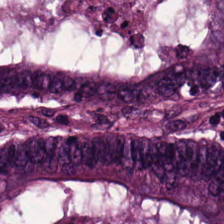Stain: H&E-stained tissue section.
Tissue class: colorectal adenocarcinoma epithelium.
